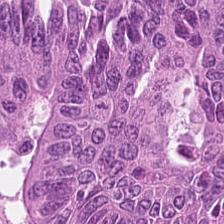H&E-stained tissue section. 224×224 pixel tile. Whole-slide-image patch — Finding → colorectal adenocarcinoma.
